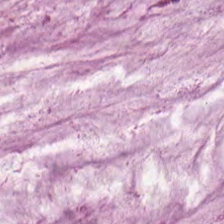Stain: H&E-stained tissue section.
Classification: extracellular mucin.
